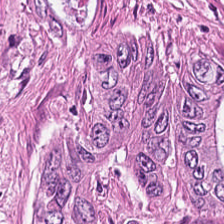Hematoxylin and eosin.
The tissue here is tumor epithelium.
